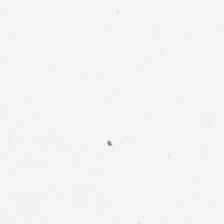This patch shows empty background.
